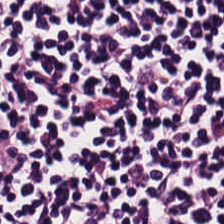Brightfield; hematoxylin-and-eosin stained section — The predominant tissue is lymphocytic infiltrate.
